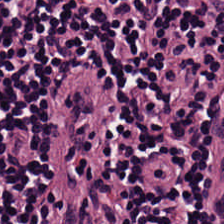Tissue = lymphocyte aggregate.
